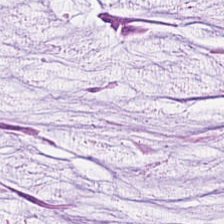Hematoxylin and eosin.
The tissue here is mucus.
